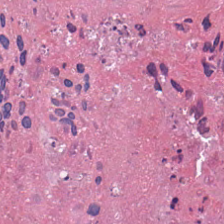Cellular debris.
